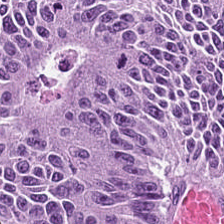WSI patch. Formalin-fixed paraffin-embedded section. H&E-stained tissue section.
This patch shows colorectal adenocarcinoma epithelium.
